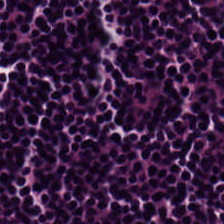Finding — lymphocyte aggregate.
